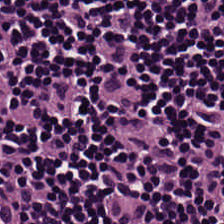H&E. Tissue type — lymphocytic infiltrate.
